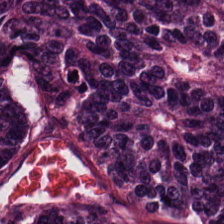Q: What is shown in this field?
A: Tumor epithelium.
